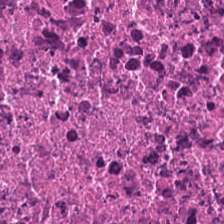H&E. Tissue class = debris.
